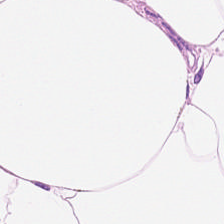H&E — adipose tissue.
